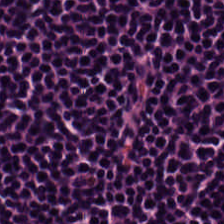H&E stain; 0.5 µm/px.
The tissue here is lymphocytes.
